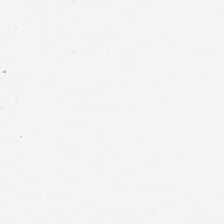Hematoxylin and eosin — Empty field — background.
